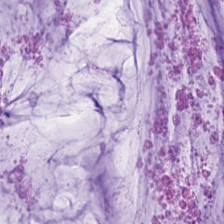Hematoxylin and eosin.
Q: What is shown here?
A: This is mucin.
